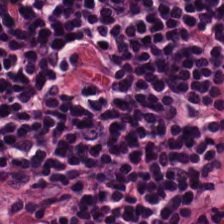224×224 px patch; brightfield; hematoxylin-and-eosin stained section.
Showing lymphocyte aggregate.
